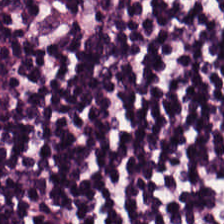Hematoxylin and eosin · 224×224 pixel tile — Impression — lymphocytes.
